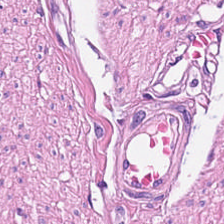H&E.
Q: What type of tissue is this?
A: The field shows muscularis.
